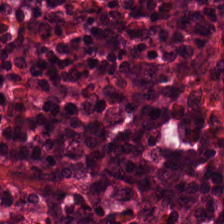H&E stain; 224×224 px tile — The tissue here is normal colon mucosa.
